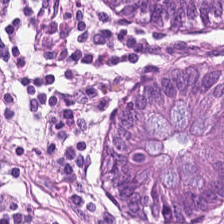H&E-stained tissue section · 224×224 px patch. Showing normal colonic mucosa.
